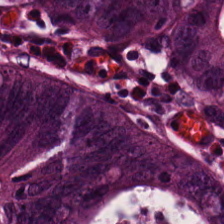H&E-stained section; the field shows malignant epithelium.
